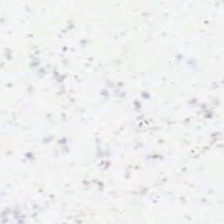Stain: H&E-stained tissue section.
Field content: empty background.
